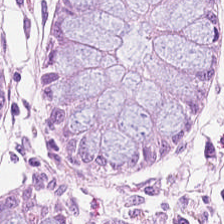H&E — The tissue type is normal colonic mucosa.
